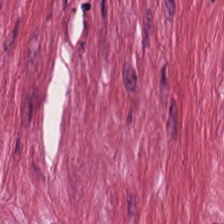Q: What is shown here?
A: The field shows tumor-associated stroma.
